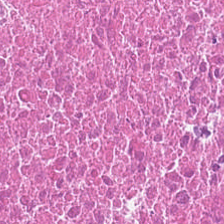Hematoxylin-and-eosin stained section — Finding → debris.
